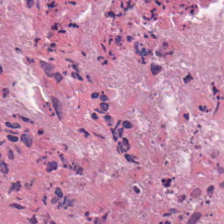H&E-stained tissue section. This field is necrotic debris.
